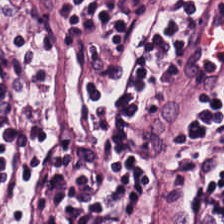H&E stain. This field is lymphoid infiltrate.
